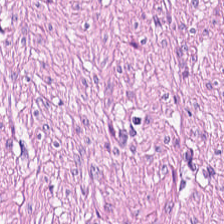20× equivalent magnification; H&E-stained tissue section; FFPE — Histology → smooth-muscle tissue.
